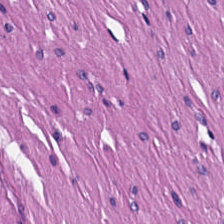Hematoxylin and eosin; whole-slide-image patch. Classification — smooth muscle.
